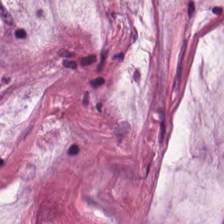224×224 px patch. H&E.
Tissue type — extracellular mucin.
